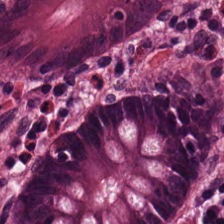Hematoxylin and eosin. 20× equivalent magnification.
Tissue class = benign colonic mucosa.
